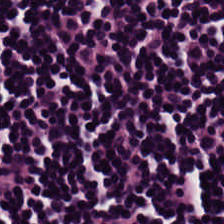The tissue here is lymphocytes.
